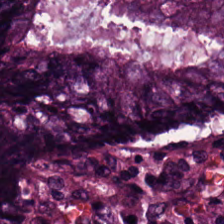H&E patch showing tumor epithelium.
